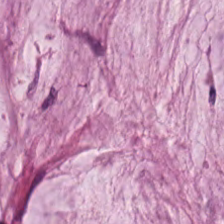Hematoxylin-and-eosin stained section. Brightfield — This patch shows mucin.
